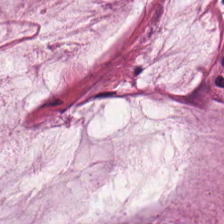H&E stain. Brightfield. The tissue here is mucin.
